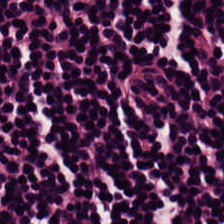H&E patch showing lymphocytes.
